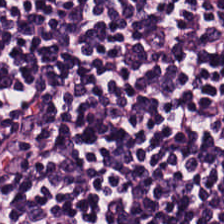0.5 µm/px. H&E-stained tissue section. FFPE tissue section. Tissue — lymphocytes.
